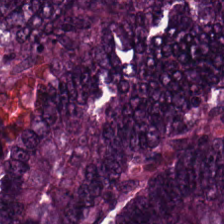H&E. Histology → colorectal adenocarcinoma epithelium.
